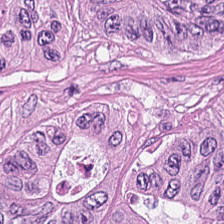FFPE tissue section; hematoxylin-and-eosin stained section; brightfield microscopy.
The tissue here is colorectal adenocarcinoma.
